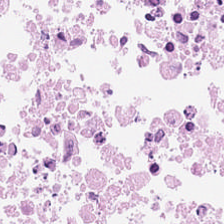Q: What tissue type is shown here?
A: The field shows debris.
